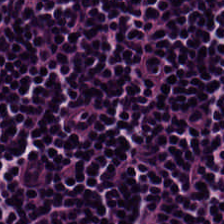Stain: H&E stain.
Acquisition: brightfield.
Tissue: lymphocytes.
